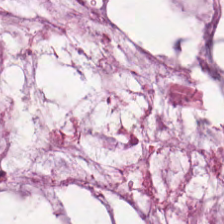224×224 px patch · H&E · whole-slide-image patch — Showing extracellular mucin.
